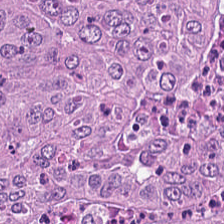H&E-stained tissue section. Classification — malignant epithelium.
